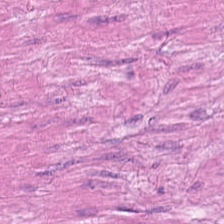H&E-stained section; the field shows muscularis.
